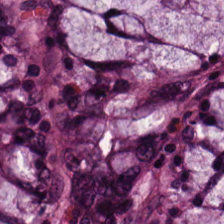Stain: H&E stain.
Predominant tissue: non-neoplastic colon mucosa.
